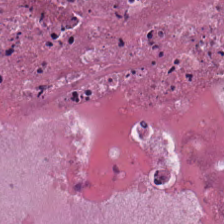224×224 px tile; H&E-stained tissue section — Predominantly debris.
